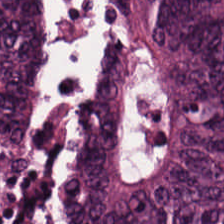Stain: hematoxylin-and-eosin stained section.
Classification: adenocarcinoma.
